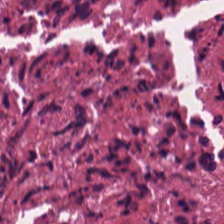Hematoxylin and eosin — Q: What tissue type is shown here?
A: Debris.
